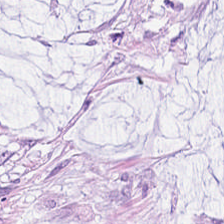Q: Identify the tissue.
A: Mucus.
